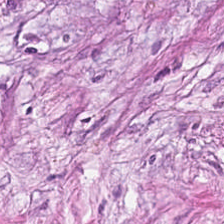H&E-stained tissue section — Histology — cancer-associated stroma.
